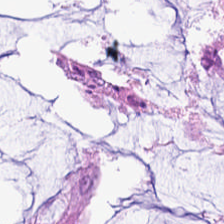Predominant tissue = normal colon mucosa.
